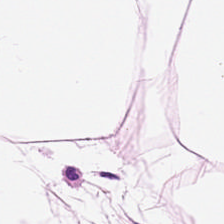Stain: H&E-stained tissue section.
Predominant tissue: adipose tissue.
